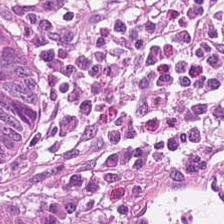Tissue = colorectal adenocarcinoma.
